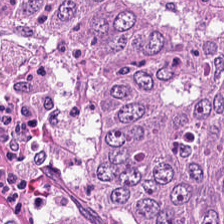Hematoxylin-and-eosin stained section; formalin-fixed paraffin-embedded section; brightfield microscopy.
Predominant tissue: malignant epithelium.
